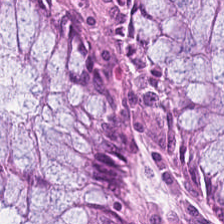H&E. Brightfield microscopy. Tissue: normal colon mucosa.
